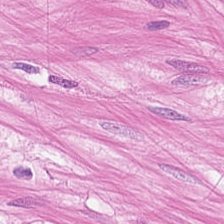WSI patch. H&E-stained tissue section.
Impression — smooth muscle.
